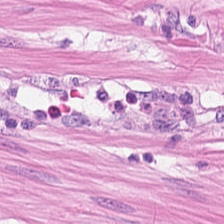Hematoxylin-and-eosin stained section; brightfield — Muscularis.
